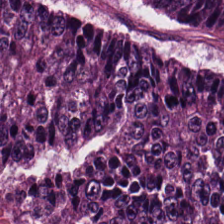H&E — The tissue here is colorectal adenocarcinoma.
